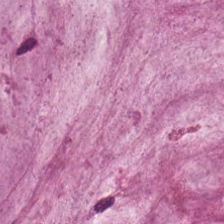Whole-slide-image patch; hematoxylin and eosin.
Finding — mucin.
